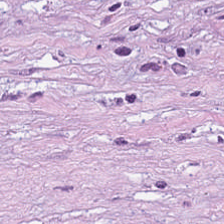Whole-slide-image patch · formalin-fixed paraffin-embedded section · H&E stain.
Tissue type — cancer-associated stroma.
